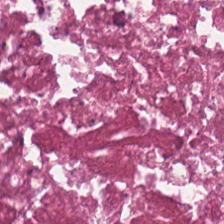Q: What is the predominant tissue type?
A: This is necrotic debris.
